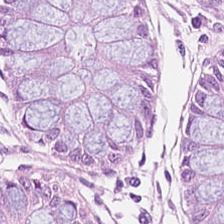0.5 µm/px; hematoxylin-and-eosin stained section. This field is normal colon mucosa.
